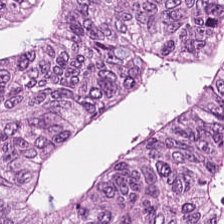H&E stain. Predominantly tumor epithelium.
